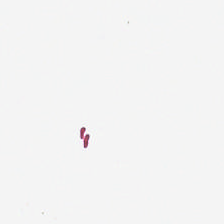0.5 microns per pixel. H&E.
This patch shows empty background.
